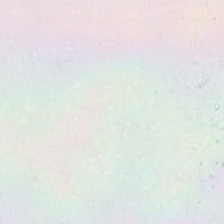H&E-stained tissue section.
Field content — no tissue.
